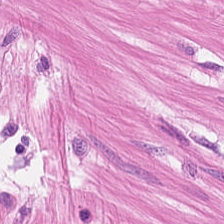H&E-stained tissue section.
{"tissue_type": "muscularis"}
